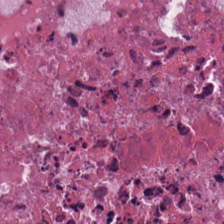The tissue here is cellular debris.
